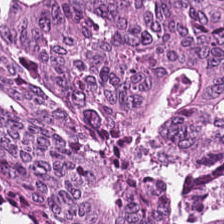This field is adenocarcinoma.
